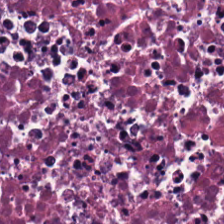H&E-stained tissue section — Q: What tissue type is shown here?
A: It is necrotic debris.
